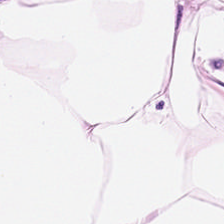Stain: H&E-stained tissue section.
Tile size: 224×224 px patch.
Preparation: formalin-fixed paraffin-embedded section.
Tissue type: fat tissue.
